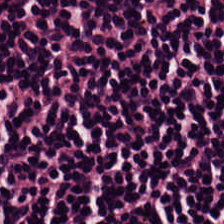Hematoxylin and eosin. {"tissue_type": "lymphocytic infiltrate"}
